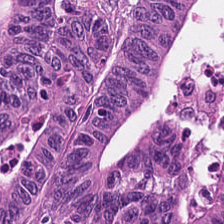This patch shows malignant epithelium.
